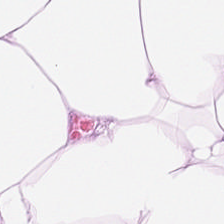H&E stain · whole-slide-image patch.
Q: What type of tissue is this?
A: Adipocytes.
